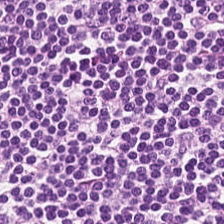FFPE; 224×224 pixel tile; H&E. {"tissue_type": "lymphocytic infiltrate"}
